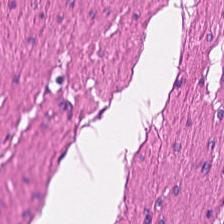Stain: hematoxylin-and-eosin stained section.
Tissue type: smooth muscle.
